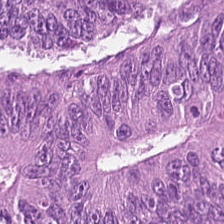H&E-stained tissue section — The tissue class is adenocarcinoma.
